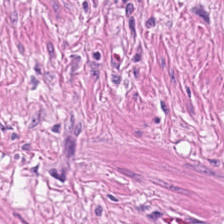Stain: H&E-stained tissue section.
Acquisition: whole-slide-image patch.
Resolution: 0.5 µm per pixel.
Classification: smooth-muscle tissue.
